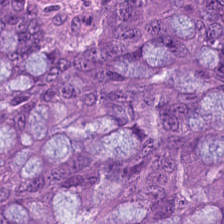Stain: H&E.
Acquisition: WSI patch.
Tissue type: tumor epithelium.
